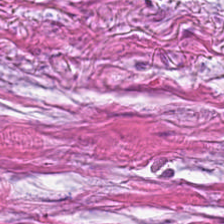H&E-stained tissue section.
The tissue here is tumor-associated stroma.
